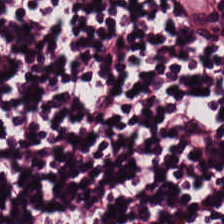WSI patch · FFPE tissue section · H&E. Q: What is shown here?
A: It is lymphoid infiltrate.
